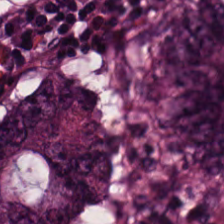The tissue here is adenocarcinoma.
